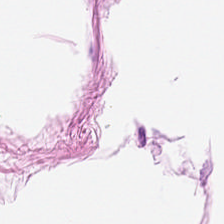Tissue type: adipose tissue.
